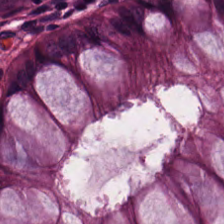Brightfield microscopy · H&E.
The tissue here is benign colonic mucosa.
